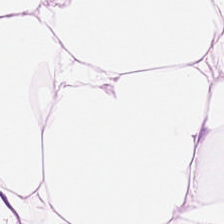Whole-slide-image patch. H&E-stained tissue section.
Q: What type of tissue is this?
A: It is fat tissue.
